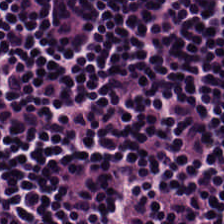The tissue here is lymphocyte aggregate.
